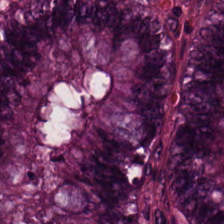H&E. Tissue = non-neoplastic colon mucosa.
